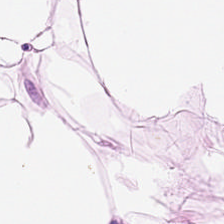Hematoxylin and eosin — This patch shows adipose.
